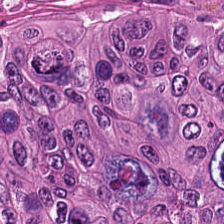H&E stain.
Tissue class — malignant epithelium.
